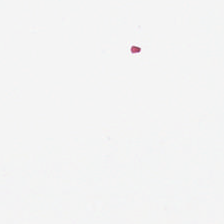H&E stain · brightfield — Empty field — background.
